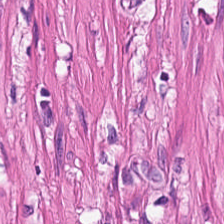Hematoxylin-and-eosin stained section — {"tissue_type": "muscularis"}
